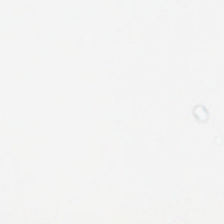Stain: H&E stain.
Resolution: 0.5 µm/px.
Field content: background (no tissue).
